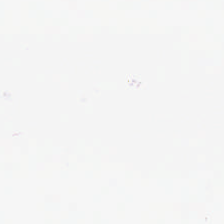H&E. Background — no tissue in this field.
